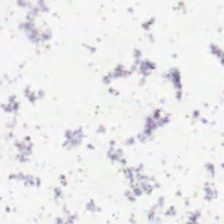20× equivalent magnification · whole-slide-image patch · H&E stain.
Q: What is shown in this field?
A: The field shows background (no tissue).
